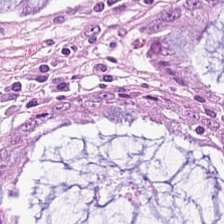H&E stain · brightfield · 224×224 px tile. The tissue here is normal colon mucosa.
